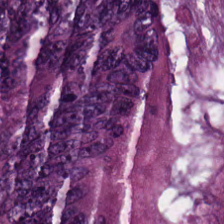Hematoxylin-and-eosin stained section. Brightfield microscopy. The tissue here is tumor epithelium.
